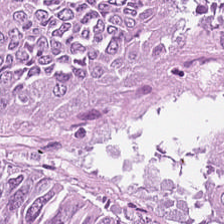Hematoxylin and eosin; 224×224 pixel tile.
The predominant tissue is adenocarcinoma.
